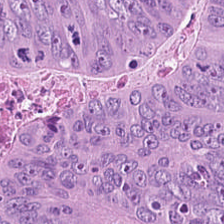Colorectal adenocarcinoma epithelium.
